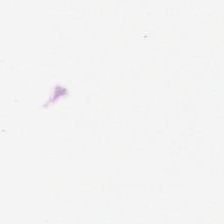Formalin-fixed paraffin-embedded section · H&E.
No tissue present; background only.
